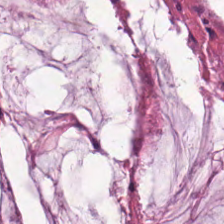H&E-stained tissue section.
Predominant tissue — mucin.
